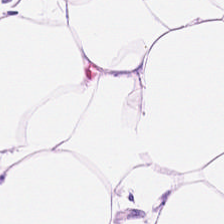H&E stain. Predominantly adipose.
